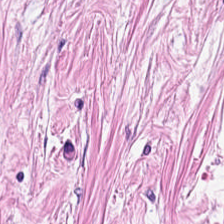H&E-stained tissue section · 224×224 px patch · brightfield microscopy. The tissue is tumor stroma.
